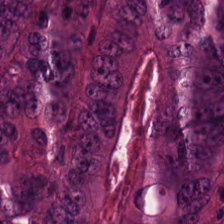Predominantly colorectal adenocarcinoma epithelium.
